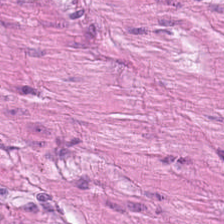Hematoxylin and eosin; 20× equivalent magnification; 224×224 pixel tile.
This field is smooth-muscle tissue.
